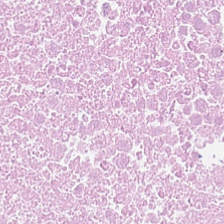Hematoxylin and eosin.
Impression → debris.
